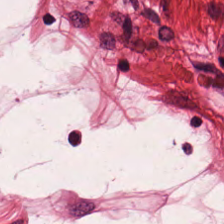H&E-stained tissue section. 224×224 px patch. WSI patch.
Tissue — muscularis.
